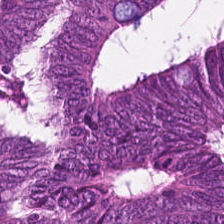Hematoxylin and eosin. WSI patch. The predominant tissue is malignant epithelium.
